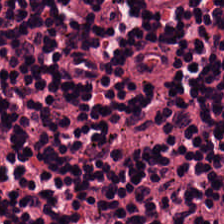Stain: H&E.
Acquisition: brightfield.
Tissue class: lymphocytes.
